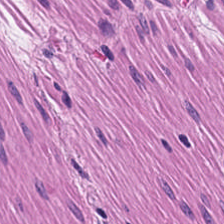0.5 µm per pixel; hematoxylin-and-eosin stained section.
This patch shows muscularis.
